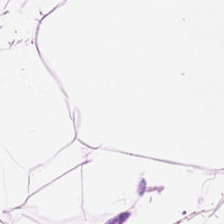Tissue type — fat tissue.
